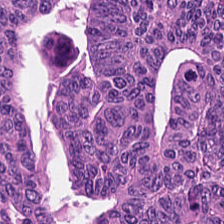Hematoxylin-and-eosin stained section. 0.5 µm/px — Histology — malignant epithelium.
